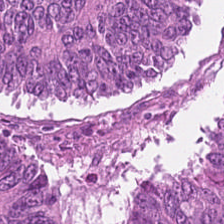WSI patch; hematoxylin-and-eosin stained section. Showing colorectal adenocarcinoma epithelium.
